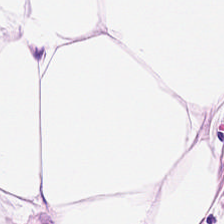Predominant tissue = adipocytes.
